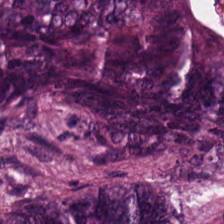Stain: H&E.
Tissue: adenocarcinoma.
